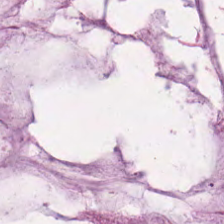Hematoxylin and eosin. The tissue here is mucin.
